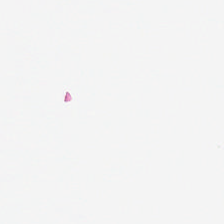H&E. Q: What is shown in this field?
A: The field shows empty background.
